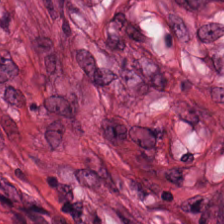H&E; 224×224 px tile — Histology — tumor stroma.
